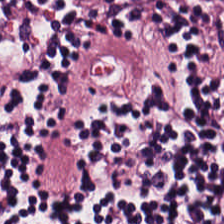Formalin-fixed paraffin-embedded section. Brightfield microscopy. H&E stain — The tissue here is lymphocyte aggregate.
